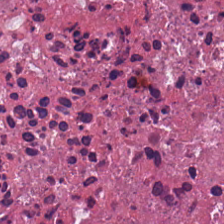{"tissue_type": "cellular debris"}
